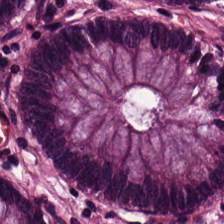Hematoxylin-and-eosin stained section — Classification — normal colonic mucosa.
